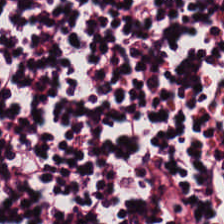H&E-stained tissue section.
{"tissue_type": "lymphoid infiltrate"}
